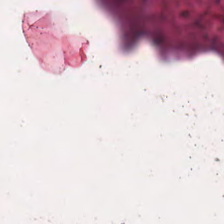H&E-stained tissue section.
Q: What tissue type is shown here?
A: Debris.
